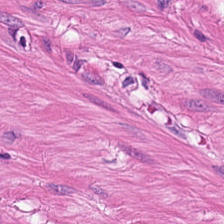Stain: hematoxylin-and-eosin stained section.
Tissue type: smooth muscle.
